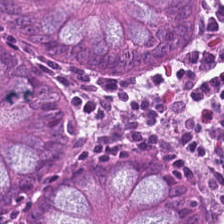H&E; FFPE tissue section; 224×224 px tile. {"tissue_type": "benign colonic mucosa"}
